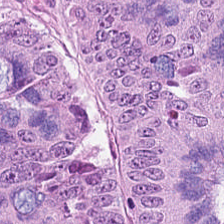Hematoxylin-and-eosin stained section — Tumor epithelium.
